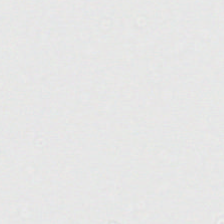H&E. Impression → no tissue.
